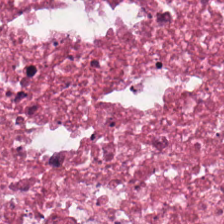Finding — necrotic debris.
